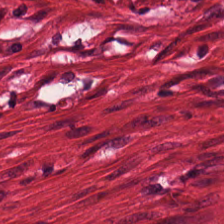Brightfield microscopy · hematoxylin-and-eosin stained section.
Predominant tissue — smooth-muscle tissue.
